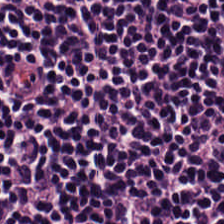Hematoxylin-and-eosin stained section.
Predominantly lymphoid infiltrate.
